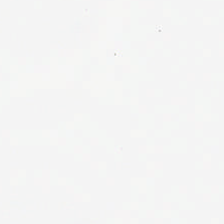Stain: hematoxylin-and-eosin stained section.
Acquisition: whole-slide-image patch.
Tile size: 224×224 px tile.
Classification: background (no tissue).
